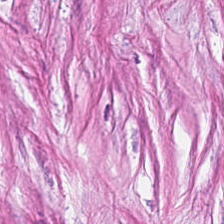224×224 pixel tile. H&E stain. The predominant tissue is cancer-associated stroma.
